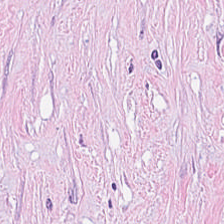Q: What is shown here?
A: The field shows desmoplastic stroma.
